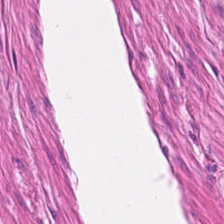20× equivalent magnification. H&E. 224×224 pixel tile — Finding — muscularis.
